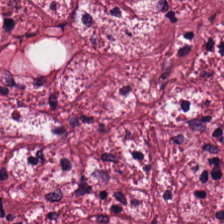H&E stain. Tissue — desmoplastic stroma.
